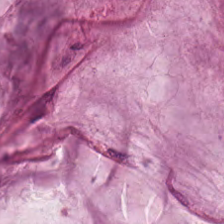Stain: hematoxylin and eosin.
Resolution: 0.5 µm/px.
Tissue: extracellular mucin.
